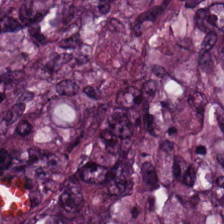H&E — adenocarcinoma.
